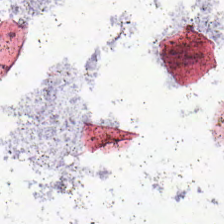Q: What does this patch show?
A: Background.
